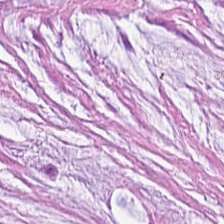Hematoxylin-and-eosin section: extracellular mucin.
